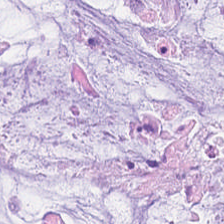H&E stain. 224×224 px patch — {"tissue_type": "mucin"}
